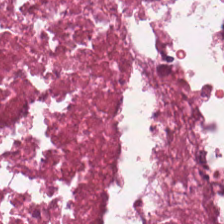Hematoxylin-and-eosin stained section.
Tissue = debris.
